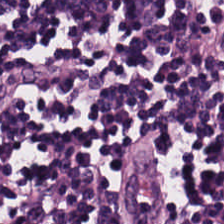Q: What tissue type is shown here?
A: The field shows lymphocyte aggregate.
